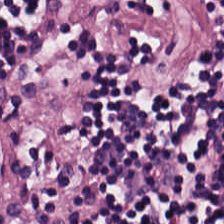H&E.
Impression → lymphocytes.
